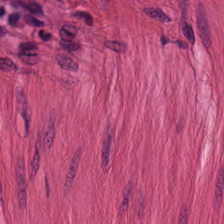Hematoxylin-and-eosin stained section. This field is muscularis.
